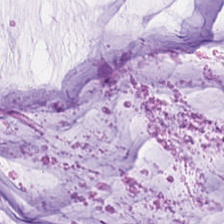H&E.
The tissue here is extracellular mucin.
